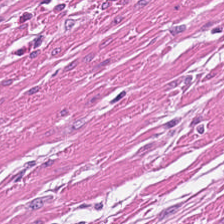Classification — smooth muscle.
